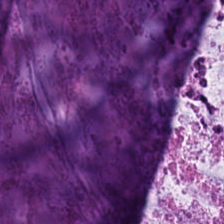0.5 microns per pixel. Hematoxylin and eosin. Q: Classify this patch.
A: It is extracellular mucin.
